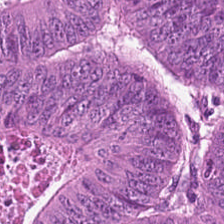Hematoxylin-and-eosin stained section — The tissue is malignant epithelium.
